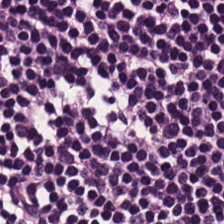Stain: H&E-stained tissue section.
Predominant tissue: lymphoid infiltrate.
